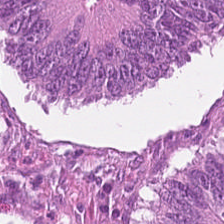224×224 px tile · H&E.
The predominant tissue is malignant epithelium.
